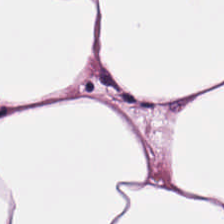Hematoxylin-and-eosin stained section; 0.5 microns per pixel; formalin-fixed paraffin-embedded section.
Histology → adipose tissue.
